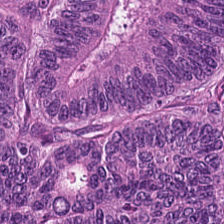H&E-stained tissue section. Tissue class: colorectal adenocarcinoma epithelium.
